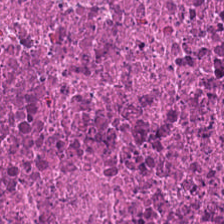Histology — debris.
